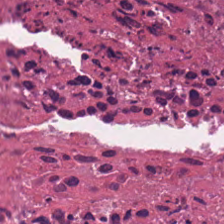{"tissue_type": "necrotic debris"}
